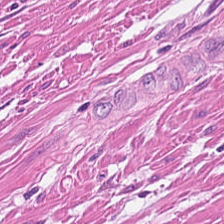Hematoxylin-and-eosin stained section. Classification — smooth-muscle tissue.
